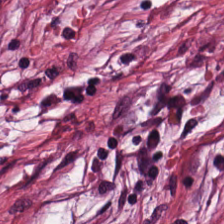Hematoxylin and eosin · brightfield. This field is desmoplastic stroma.
